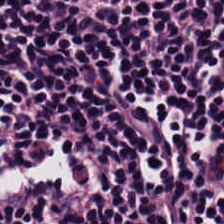Finding → lymphocytic infiltrate.
